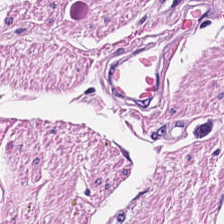Stain: hematoxylin-and-eosin stained section.
Tissue: smooth muscle.
